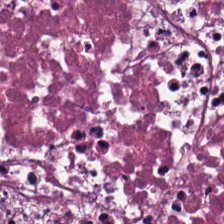Tissue type — necrotic debris.
